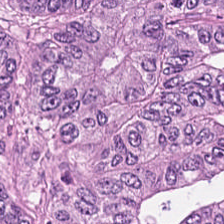Tissue class = colorectal adenocarcinoma.
